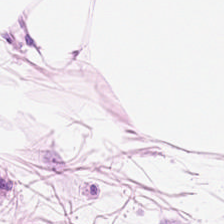Hematoxylin and eosin; 224×224 pixel tile. The tissue here is adipocytes.
